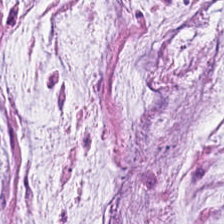Stain: H&E.
Classification: mucus.
